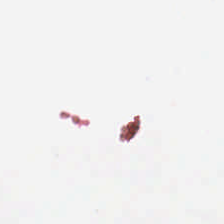Stain: H&E stain.
Resolution: 20× equivalent magnification.
Preparation: FFPE tissue section.
Content: no tissue.
